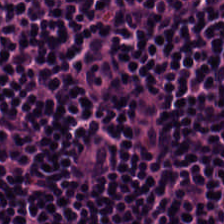Histology → lymphocytes.
